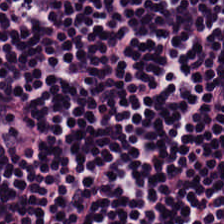H&E stain · 0.5 microns per pixel — Tissue type — lymphocytes.
